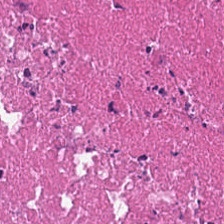224×224 px tile · hematoxylin and eosin.
Finding → necrotic debris.
